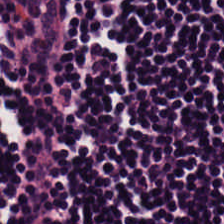H&E stain · FFPE · 0.5 µm/px. Predominant tissue = lymphocytic infiltrate.
